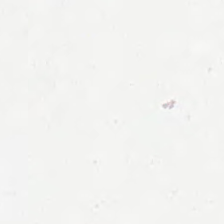FFPE. H&E stain. 224×224 px patch.
Q: What is shown in this field?
A: The field shows background (no tissue).
